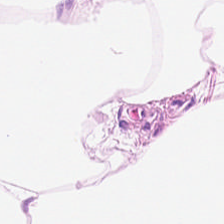FFPE tissue section · hematoxylin-and-eosin stained section — This field is fat tissue.
